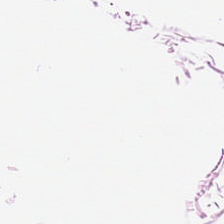224×224 px patch · hematoxylin-and-eosin stained section.
This patch shows adipose tissue.
